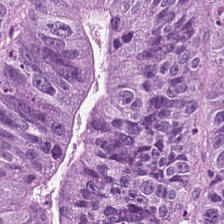Hematoxylin-and-eosin stained section; 224×224 px patch — Q: What is the predominant tissue type?
A: Tumor epithelium.
